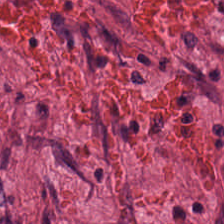Hematoxylin and eosin · brightfield microscopy — This field is tumor-associated stroma.
